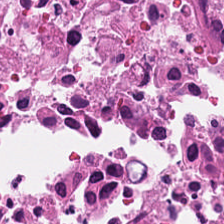Stain: H&E-stained tissue section.
Classification: necrotic debris.
